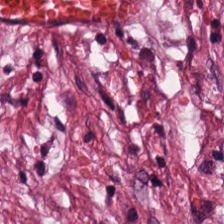224×224 px patch. H&E. Brightfield. Finding — tumor-associated stroma.
